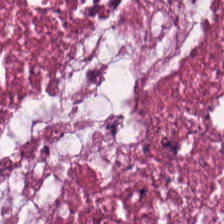H&E-stained tissue section. Debris.
